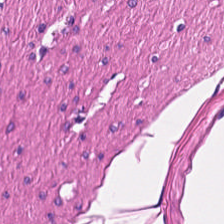H&E-stained tissue section · 224×224 px tile.
Predominant tissue — smooth-muscle tissue.
